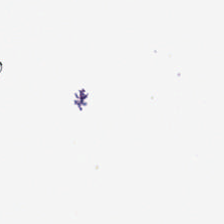H&E. Q: Classify this patch.
A: It is background.
